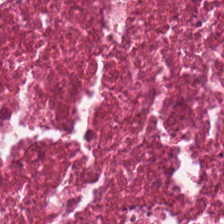H&E; 224×224 pixel tile; brightfield microscopy — The predominant tissue is necrotic debris.
